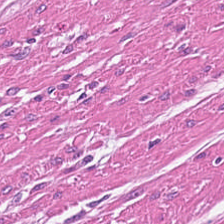Q: What does this patch show?
A: The field shows smooth muscle.
